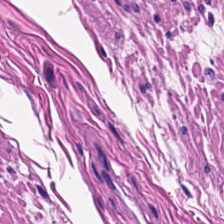Hematoxylin-and-eosin stained section. WSI patch. 224×224 px tile. Tissue: smooth muscle.
